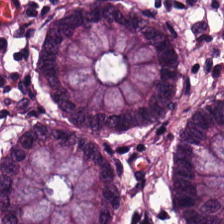Formalin-fixed paraffin-embedded section; hematoxylin and eosin.
The predominant tissue is benign colonic mucosa.
